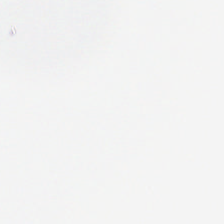H&E stain; 224×224 px patch.
{"content": "no tissue"}
